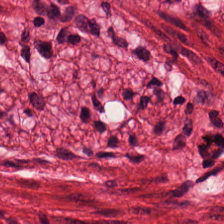20× equivalent magnification · H&E-stained tissue section — Smooth muscle.
